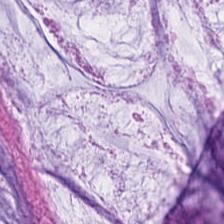H&E-stained tissue section.
The tissue is extracellular mucin.
